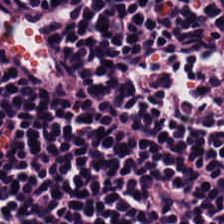Hematoxylin and eosin. FFPE. {"tissue_type": "lymphocytes"}
